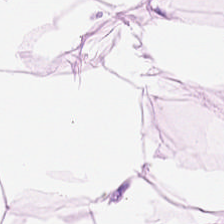Hematoxylin-and-eosin section: adipose.
